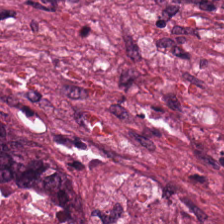WSI patch · 0.5 µm per pixel · H&E stain.
The predominant tissue is debris.
